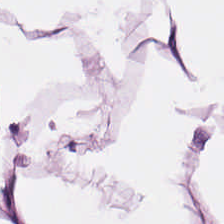0.5 microns per pixel · H&E-stained tissue section. Predominant tissue = adipose tissue.
